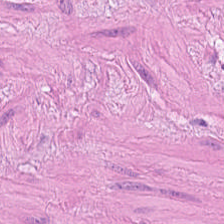Hematoxylin-and-eosin stained section. 0.5 µm/px — The tissue type is smooth-muscle tissue.
